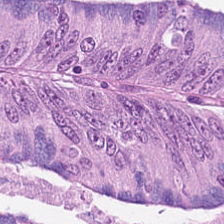Hematoxylin-and-eosin stained section.
Finding — tumor epithelium.
